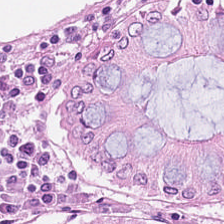Stain: H&E.
Preparation: formalin-fixed paraffin-embedded section.
Resolution: 20× equivalent magnification.
Tissue: non-neoplastic colon mucosa.
